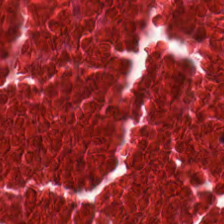Stain: H&E.
Tissue: debris.
